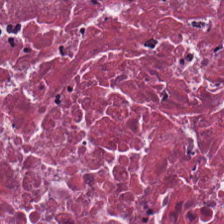H&E stain. Debris.
